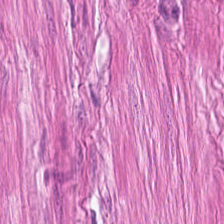H&E stain. 0.5 microns per pixel — Q: What is shown in this field?
A: The field shows muscularis.
